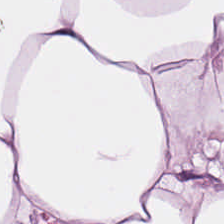H&E. 224×224 px patch. Classification: adipose.
